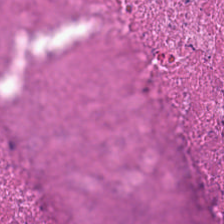H&E-stained tissue section showing debris.
